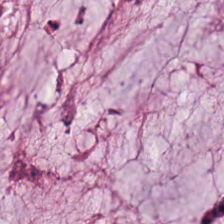The predominant tissue is extracellular mucin.
